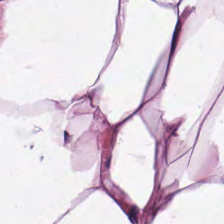WSI patch. 0.5 µm per pixel. H&E.
Predominant tissue: adipose.
